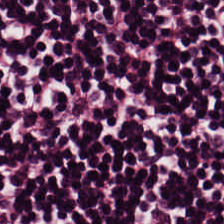Formalin-fixed paraffin-embedded section · hematoxylin-and-eosin stained section · 0.5 µm per pixel — Histology — lymphocyte aggregate.
